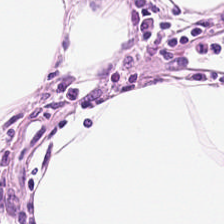Whole-slide-image patch · 224×224 pixel tile · H&E-stained tissue section — Q: Identify the tissue.
A: Fat tissue.
